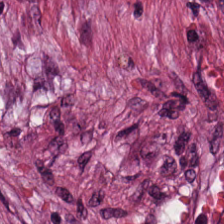H&E patch showing cancer-associated stroma.
